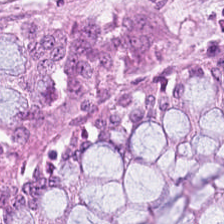Non-neoplastic colon mucosa.
